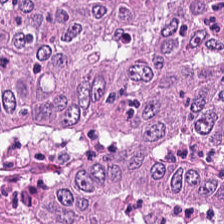224×224 pixel tile · H&E stain.
Q: Classify this patch.
A: It is colorectal adenocarcinoma.
